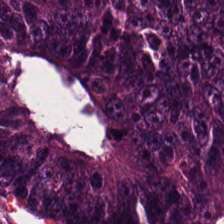Hematoxylin-and-eosin stained section.
Q: What type of tissue is this?
A: This is colorectal adenocarcinoma epithelium.
